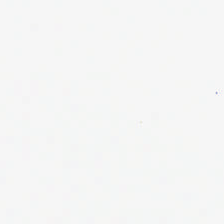Q: What is shown here?
A: It is background.
